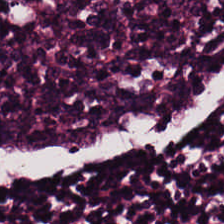Stain: H&E-stained tissue section.
Classification: lymphocytes.
